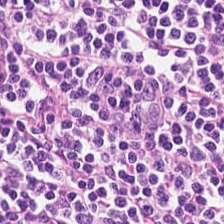WSI patch. H&E stain — Lymphocytes.
